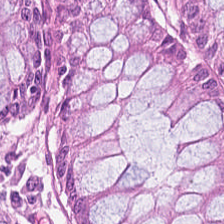Tissue — normal colonic mucosa.
